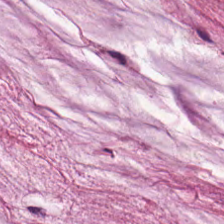H&E. Q: What tissue type is shown here?
A: It is mucus.
